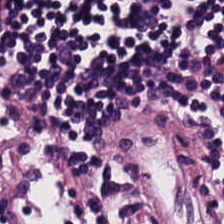H&E stain.
Finding — lymphoid infiltrate.
